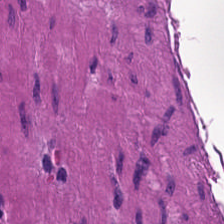Histology → muscularis.
